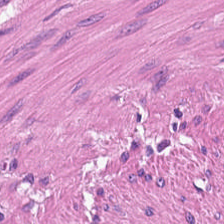FFPE tissue section · H&E-stained tissue section — The predominant tissue is muscularis.
